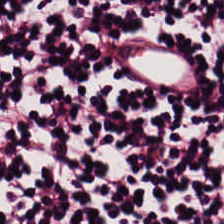H&E-stained tissue section. Tissue class — lymphoid infiltrate.
